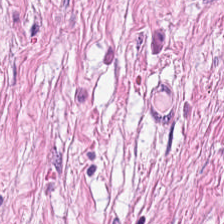Whole-slide-image patch. H&E stain. 224×224 pixel tile — This field is tumor-associated stroma.
